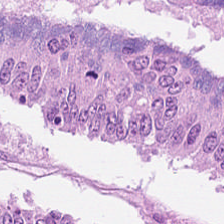H&E-stained tissue section — The tissue here is adenocarcinoma.
